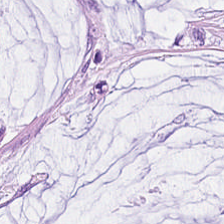Hematoxylin-and-eosin stained section. Brightfield microscopy — Finding → mucus.
